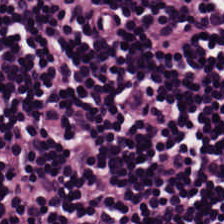Stain: H&E stain.
Preparation: formalin-fixed paraffin-embedded section.
Tissue type: lymphocytes.
